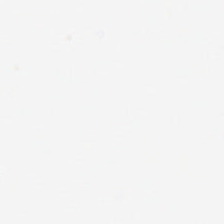Impression — no tissue.
